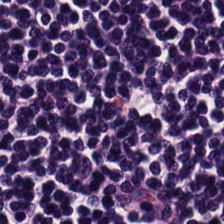Predominant tissue — lymphocyte aggregate.
